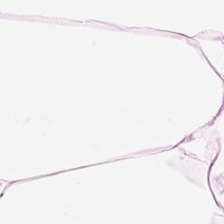Impression → adipose.
